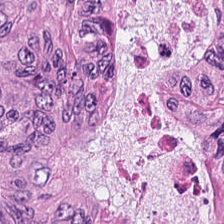FFPE tissue section; hematoxylin and eosin — Tissue type = adenocarcinoma.
